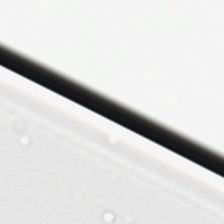H&E-stained tissue section · FFPE tissue section · 224×224 px tile — The content is empty background.
